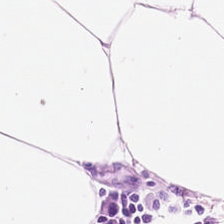Hematoxylin and eosin · 0.5 µm per pixel · FFPE tissue section.
The tissue here is adipocytes.
